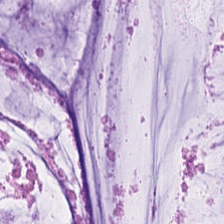20× equivalent magnification. H&E stain. Whole-slide-image patch. The tissue here is mucus.
